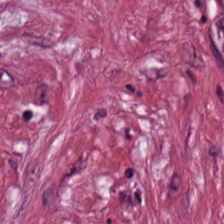H&E stain — Predominant tissue: tumor stroma.
